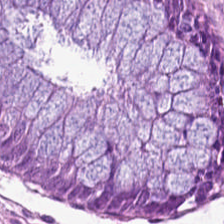Hematoxylin and eosin. Showing non-neoplastic colon mucosa.
